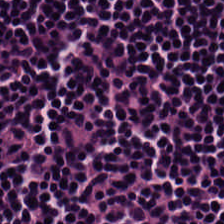The predominant tissue is lymphocytes.
